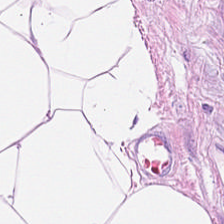Histology → fat tissue.
